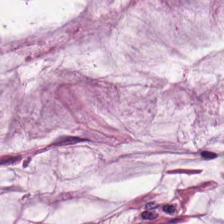H&E stain · 224×224 px patch — Q: What tissue is shown?
A: It is extracellular mucin.
